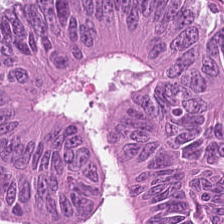H&E stain. 20× equivalent magnification.
This field is colorectal adenocarcinoma epithelium.
